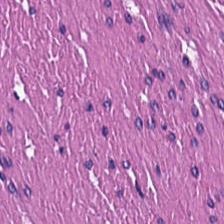Showing smooth-muscle tissue.
